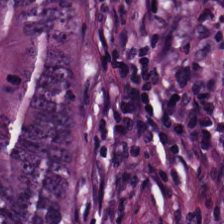{"tissue_type": "colorectal adenocarcinoma"}
